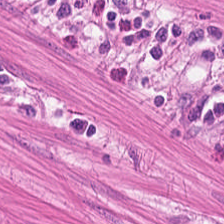Stain: H&E-stained tissue section.
Preparation: FFPE.
Tissue class: smooth-muscle tissue.
